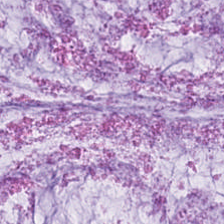FFPE tissue section · H&E.
Q: Classify this patch.
A: The field shows mucin.
